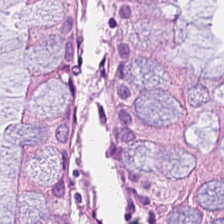H&E.
Tissue class = benign colonic mucosa.
